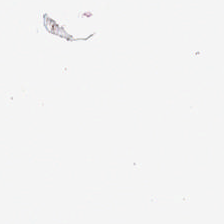H&E-stained tissue section — The field content is no tissue.
